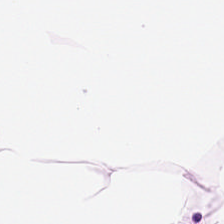H&E. This patch shows adipose tissue.
